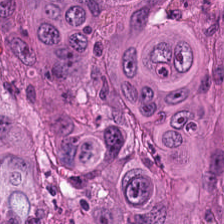H&E stain. Q: What is the predominant tissue type?
A: The field shows malignant epithelium.
